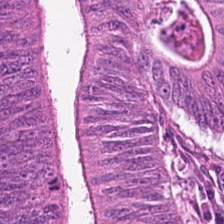H&E-stained tissue section · 0.5 microns per pixel — Histology → colorectal adenocarcinoma epithelium.
